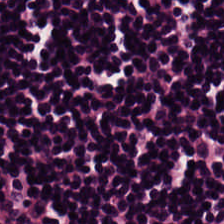H&E stain — Classification: lymphocytes.
